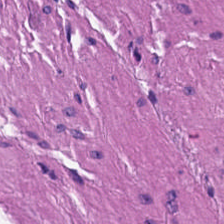Showing smooth muscle.
